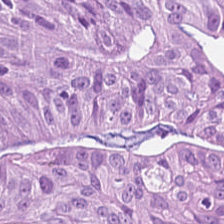H&E-stained section; the field shows colorectal adenocarcinoma.
